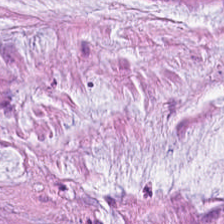Hematoxylin and eosin — The predominant tissue is extracellular mucin.
